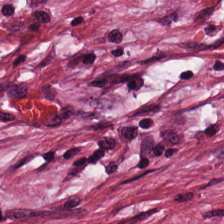H&E stain. 224×224 pixel tile. The tissue class is tumor-associated stroma.
